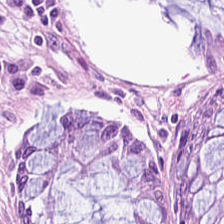H&E-stained tissue section; WSI patch.
Q: What tissue type is shown here?
A: This is non-neoplastic colon mucosa.
